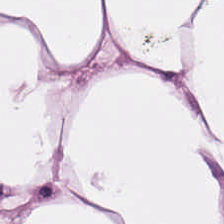Finding → adipocytes.
